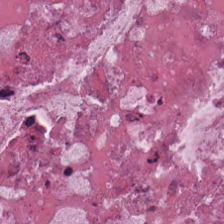H&E. 224×224 px patch. Impression → necrotic debris.
